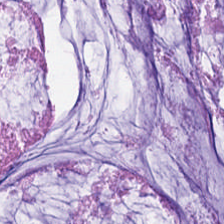Hematoxylin-and-eosin stained section — {"tissue_type": "mucin"}
